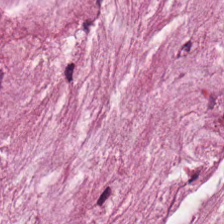Stain: hematoxylin-and-eosin stained section.
Acquisition: brightfield.
Preparation: FFPE tissue section.
Classification: mucus.
